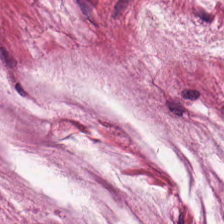Stain: hematoxylin and eosin.
Tissue type: mucus.
